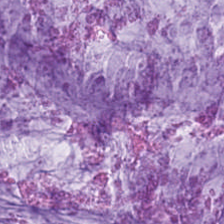FFPE. H&E. 224×224 px patch — Showing mucus.
